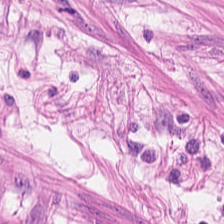Brightfield; H&E-stained tissue section. {"tissue_type": "muscularis"}
